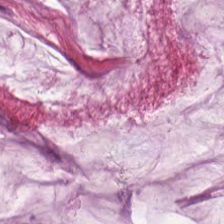H&E — The tissue here is mucin.
